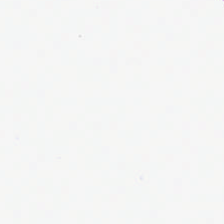Stain: hematoxylin and eosin.
Classification: background.
